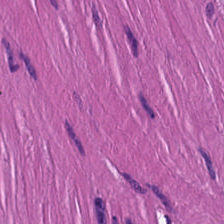0.5 µm/px · hematoxylin and eosin · 224×224 px tile.
Smooth-muscle tissue.
